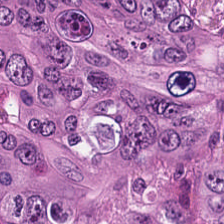Stain: H&E stain.
Classification: colorectal adenocarcinoma.
